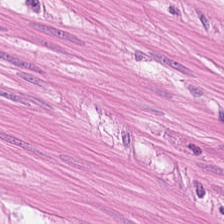Hematoxylin and eosin. 224×224 pixel tile. FFPE tissue section — Q: What type of tissue is this?
A: The field shows smooth-muscle tissue.
